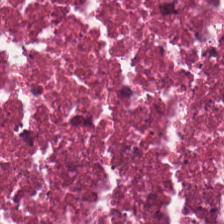FFPE tissue section. H&E-stained tissue section. Q: What tissue is shown?
A: The field shows necrotic debris.
